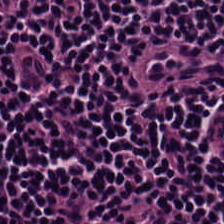H&E stain. Tissue type = lymphoid infiltrate.
